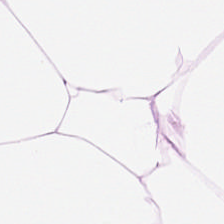Hematoxylin and eosin.
Histology — adipose tissue.
